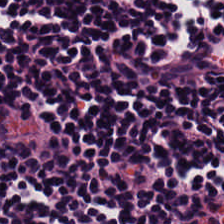0.5 µm/px · H&E-stained tissue section. Q: What is shown here?
A: This is lymphocyte aggregate.
